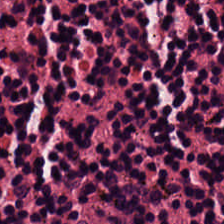Hematoxylin-and-eosin stained section — Tissue type: lymphocytes.
